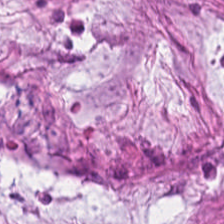FFPE tissue section. H&E-stained tissue section.
The predominant tissue is desmoplastic stroma.
